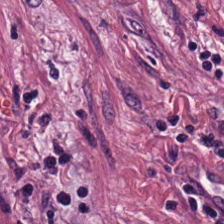0.5 microns per pixel · hematoxylin and eosin — The tissue class is tumor-associated stroma.
